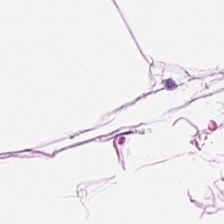H&E stain — Q: What tissue is shown?
A: It is fat tissue.
